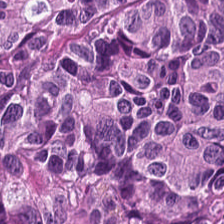Histology — malignant epithelium.
